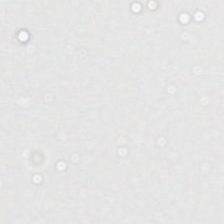0.5 microns per pixel; 224×224 px tile; H&E stain. Classification: empty background.
